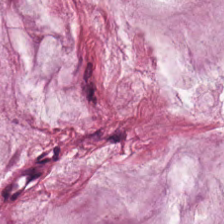Stain: H&E-stained tissue section.
Tissue class: mucin.
